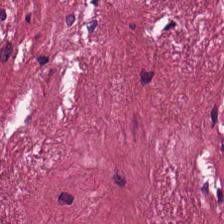Stain: H&E.
Tile size: 224×224 px patch.
Preparation: FFPE.
Classification: tumor-associated stroma.
